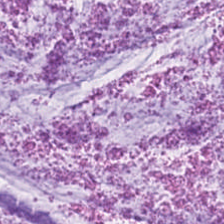Hematoxylin-and-eosin section: mucin.
